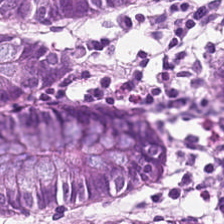Q: What is shown in this field?
A: It is benign colonic mucosa.
